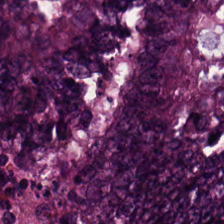Hematoxylin-and-eosin stained section — Finding → adenocarcinoma.
